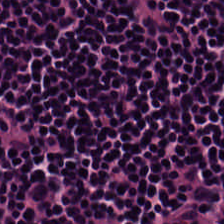224×224 px patch · H&E stain · 0.5 µm per pixel.
Finding → lymphocytic infiltrate.
